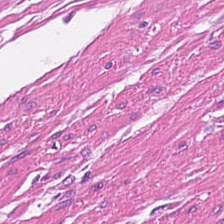H&E stain.
Tissue type = smooth-muscle tissue.
